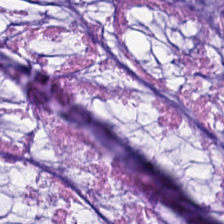Hematoxylin and eosin — This field is mucin.
